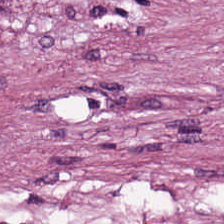H&E · 224×224 px patch · 20× equivalent magnification. Showing tumor-associated stroma.
